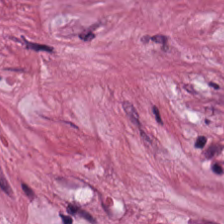H&E. Classification — cancer-associated stroma.
